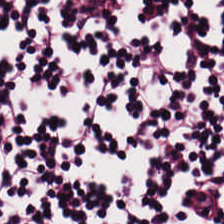{"tissue_type": "lymphocyte aggregate"}
